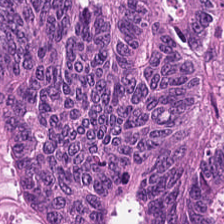Finding → tumor epithelium.
